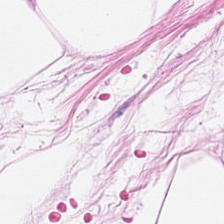Hematoxylin-and-eosin stained section; WSI patch; 0.5 µm per pixel — The tissue type is adipose.
